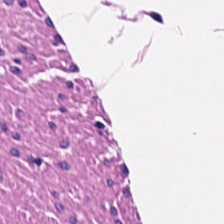H&E stain — Finding — smooth-muscle tissue.
